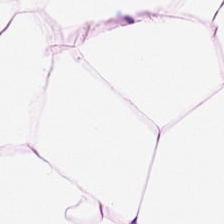0.5 µm/px · WSI patch · H&E.
Classification: adipose.
